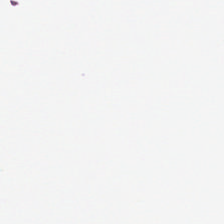H&E-stained tissue section. 20× equivalent magnification.
This patch shows background.
